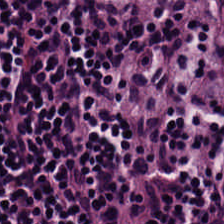H&E stain.
This patch shows lymphoid infiltrate.
